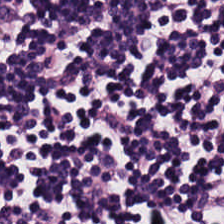224×224 pixel tile; H&E; 20× equivalent magnification. Showing lymphocytes.
